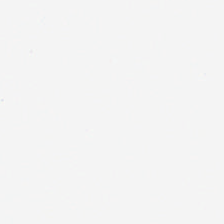Stain: hematoxylin-and-eosin stained section.
Tile size: 224×224 px tile.
Classification: empty background.
